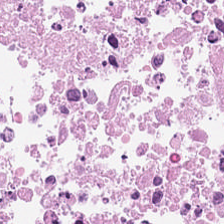Stain: hematoxylin and eosin.
Resolution: 0.5 µm/px.
Tissue: cellular debris.
